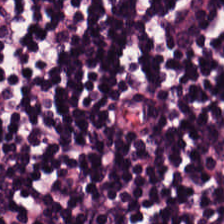H&E stain. The classification is lymphoid infiltrate.
